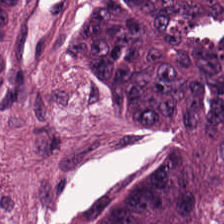The tissue here is adenocarcinoma.
